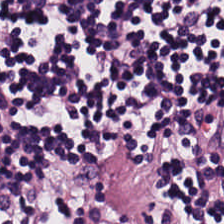H&E stain. Tissue — lymphoid infiltrate.
